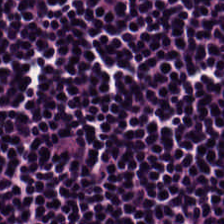Hematoxylin and eosin; 224×224 px patch; formalin-fixed paraffin-embedded section.
Predominantly lymphoid infiltrate.
